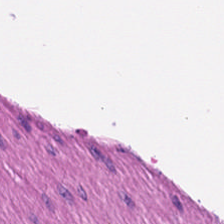Tissue type: smooth muscle.
